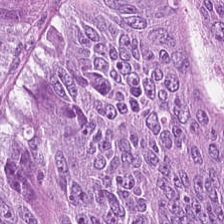Stain: H&E stain.
Predominant tissue: malignant epithelium.
